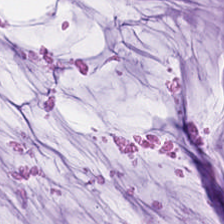0.5 µm/px · FFPE · hematoxylin and eosin.
{"tissue_type": "mucus"}
